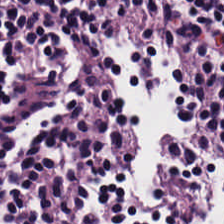H&E stain. Tissue — lymphocytic infiltrate.
